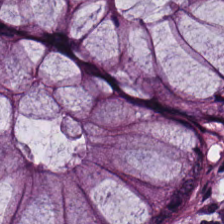H&E.
The predominant tissue is non-neoplastic colon mucosa.
